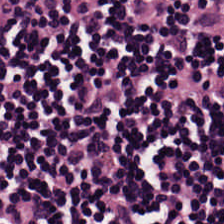Stain: hematoxylin-and-eosin stained section.
Preparation: FFPE.
Predominant tissue: lymphocyte aggregate.
